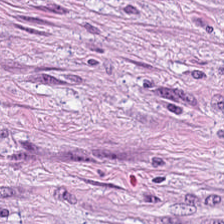H&E stain. Histology → tumor stroma.
